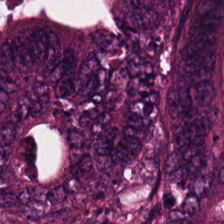Histology → adenocarcinoma.
